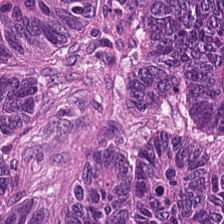Hematoxylin and eosin. 224×224 px patch. The classification is malignant epithelium.
